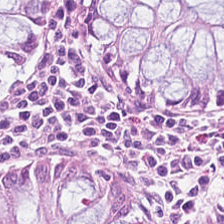224×224 pixel tile; H&E stain.
Tissue class — non-neoplastic colon mucosa.
